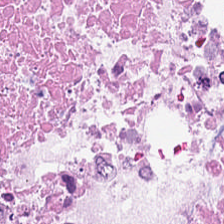Stain: H&E-stained tissue section.
Tile size: 224×224 pixel tile.
Tissue: necrotic debris.
